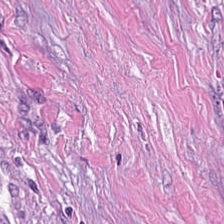Hematoxylin and eosin — Q: What is shown in this field?
A: It is cancer-associated stroma.
